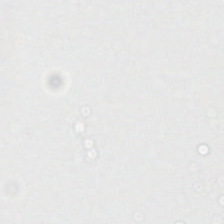H&E-stained tissue section.
This patch shows background.
